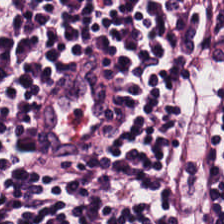H&E. 224×224 px patch.
Q: What is shown here?
A: This is lymphocyte aggregate.
